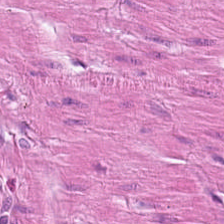H&E. WSI patch.
Q: What is the predominant tissue type?
A: Smooth muscle.
